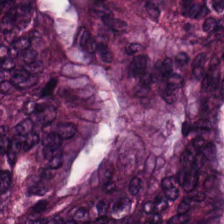0.5 µm per pixel. Hematoxylin and eosin.
The tissue here is colorectal adenocarcinoma.
